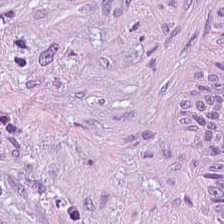{"tissue_type": "tumor stroma"}
